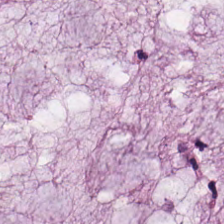H&E stain. This patch shows mucin.
